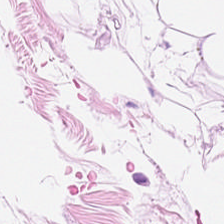0.5 µm per pixel; H&E-stained tissue section. This patch shows adipose tissue.
